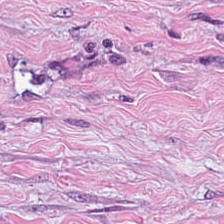FFPE tissue section · H&E-stained tissue section. Predominantly cancer-associated stroma.
